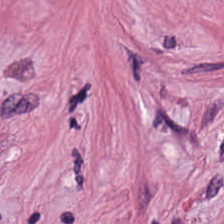The predominant tissue is desmoplastic stroma.
